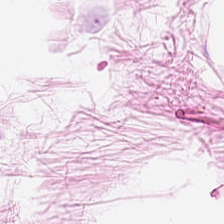Formalin-fixed paraffin-embedded section; hematoxylin-and-eosin stained section; 0.5 µm per pixel.
This patch shows fat tissue.
